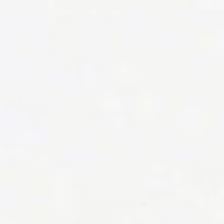Empty field — background (no tissue).
